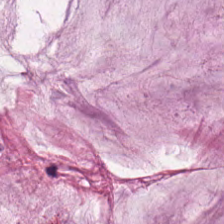Stain: H&E.
Tissue: extracellular mucin.
